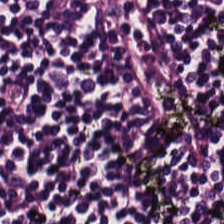Q: What is shown in this field?
A: The field shows lymphocytes.
